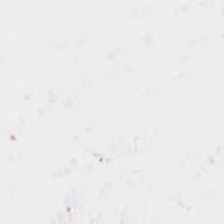Hematoxylin-and-eosin stained section · FFPE. Q: What is shown here?
A: Background (no tissue).
